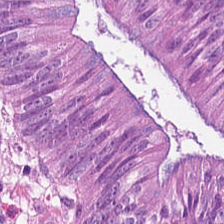224×224 px patch; H&E. Predominantly tumor epithelium.
